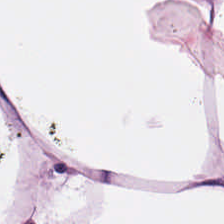20× equivalent magnification. H&E stain. 224×224 px patch — The tissue class is fat tissue.
